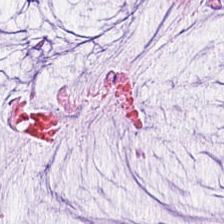The tissue is extracellular mucin.
